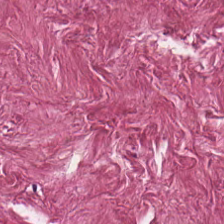Hematoxylin-and-eosin stained section; 0.5 µm/px — Q: What does this patch show?
A: Cancer-associated stroma.
